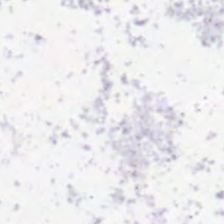FFPE; H&E-stained tissue section.
Finding — background (no tissue).
